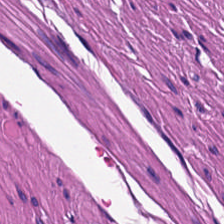{"tissue_type": "muscularis"}
